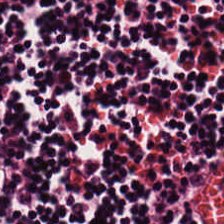H&E-stained tissue section. Showing lymphoid infiltrate.
